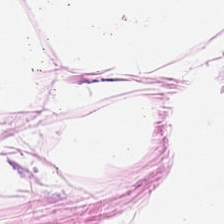Hematoxylin-and-eosin stained section. This patch shows adipose.
